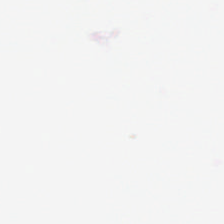Hematoxylin-and-eosin stained section. Q: What is shown in this field?
A: The field shows empty background.
